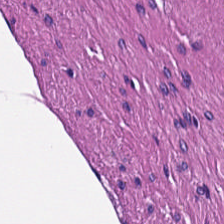Hematoxylin-and-eosin stained section — Tissue: smooth-muscle tissue.
